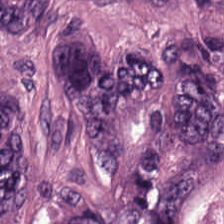Hematoxylin-and-eosin stained section; formalin-fixed paraffin-embedded section.
Tissue class — colorectal adenocarcinoma epithelium.
